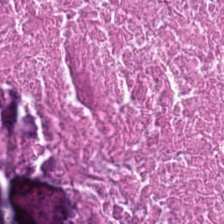Stain: hematoxylin-and-eosin stained section.
Acquisition: WSI patch.
Tissue class: debris.
